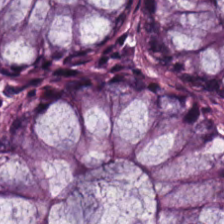Hematoxylin-and-eosin stained section. WSI patch. Normal colonic mucosa.
